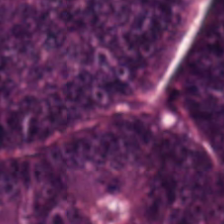H&E stain · brightfield. Q: What is the predominant tissue type?
A: The field shows colorectal adenocarcinoma.
